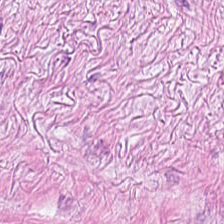H&E stain — The tissue is desmoplastic stroma.
